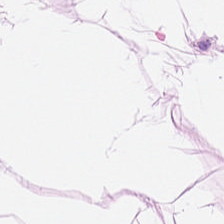224×224 pixel tile · hematoxylin-and-eosin stained section · whole-slide-image patch — Impression → adipose.
